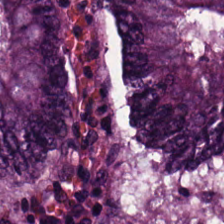Hematoxylin and eosin; brightfield microscopy; 224×224 px tile.
Histology — colorectal adenocarcinoma.
